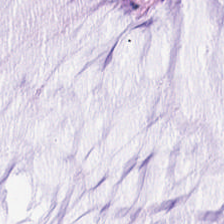Extracellular mucin.
